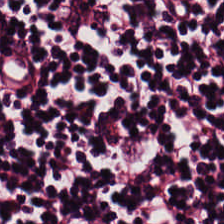Q: Identify the tissue.
A: Lymphoid infiltrate.
